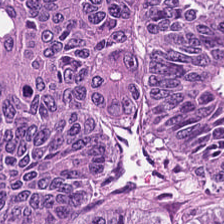WSI patch. H&E stain. 224×224 px tile. The predominant tissue is adenocarcinoma.
